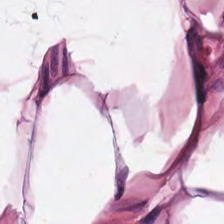224×224 px patch; H&E stain.
Showing adipose.
